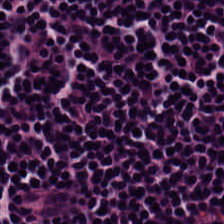The tissue is lymphoid infiltrate.
